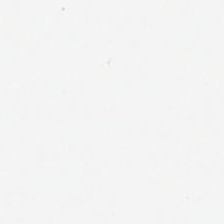Content = background.
